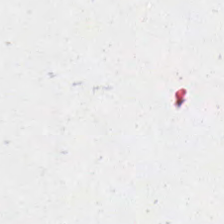Finding — background (no tissue).
